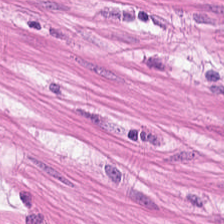Hematoxylin-and-eosin stained section. {"tissue_type": "smooth muscle"}
